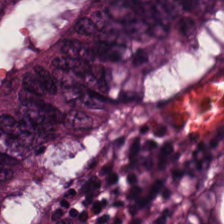FFPE tissue section. H&E stain. 0.5 µm per pixel. Tissue: colorectal adenocarcinoma.
